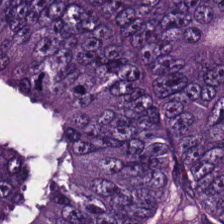Classification — tumor epithelium.
